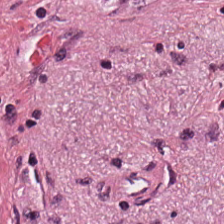Hematoxylin and eosin; 20× equivalent magnification — Cancer-associated stroma.
